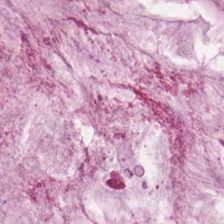H&E-stained tissue section showing extracellular mucin.
